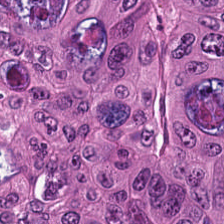H&E-stained tissue section.
{"tissue_type": "adenocarcinoma"}
